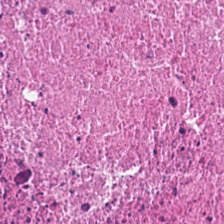H&E stain — Tissue class — cellular debris.
